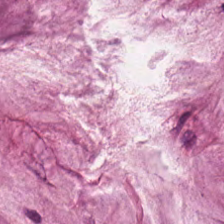H&E — Tissue class: extracellular mucin.
